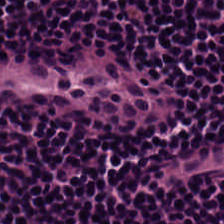H&E-stained tissue section — Q: What tissue type is shown here?
A: The field shows lymphocytic infiltrate.
